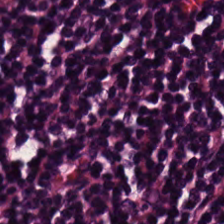Brightfield microscopy. H&E stain. Finding → lymphocytic infiltrate.
